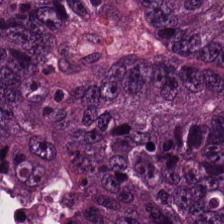Hematoxylin and eosin. 224×224 pixel tile. Predominantly tumor epithelium.
